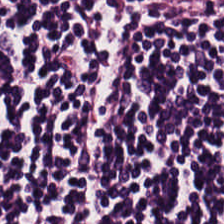H&E stain.
{"tissue_type": "lymphoid infiltrate"}
